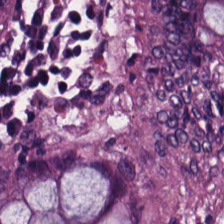H&E-stained tissue section — The tissue here is normal colon mucosa.
